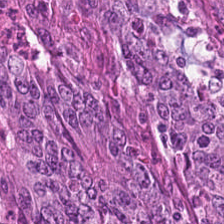Stain: H&E.
Acquisition: whole-slide-image patch.
Preparation: formalin-fixed paraffin-embedded section.
Tissue type: colorectal adenocarcinoma.
